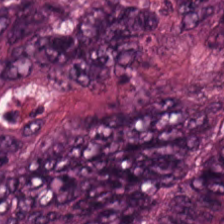H&E — The predominant tissue is mucus.
